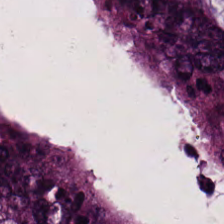H&E stain — Q: What tissue is shown?
A: Adenocarcinoma.
